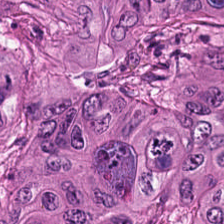Q: What tissue is shown?
A: The field shows malignant epithelium.
